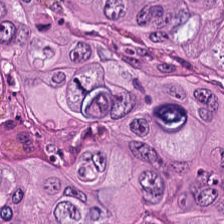Formalin-fixed paraffin-embedded section. Hematoxylin and eosin. Brightfield.
The tissue here is colorectal adenocarcinoma.
